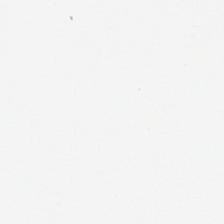H&E-stained tissue section. Field content: background (no tissue).
